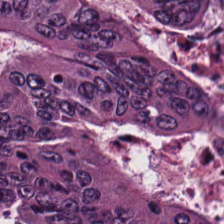H&E-stained tissue section; FFPE tissue section.
Finding → colorectal adenocarcinoma.
